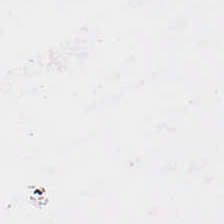H&E stain — Q: Classify this patch.
A: The field shows background.
